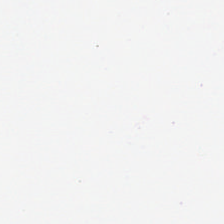H&E-stained tissue section — This patch shows no tissue.
